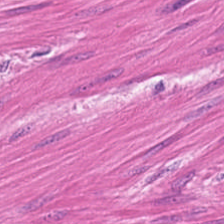0.5 µm/px. H&E stain. FFPE tissue section — Q: Classify this patch.
A: The field shows muscularis.
